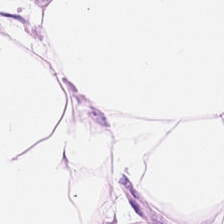This patch shows adipose.
